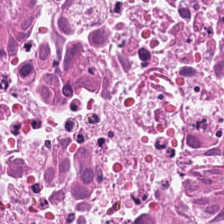H&E stain.
Necrotic debris.
